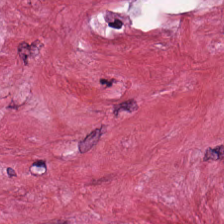0.5 µm/px. Brightfield microscopy. H&E — Predominantly desmoplastic stroma.
